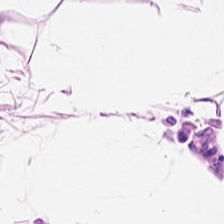Tissue: fat tissue.
